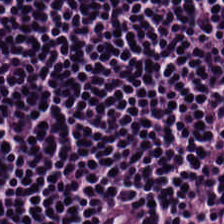H&E · FFPE tissue section · 20× equivalent magnification.
Classification — lymphocytic infiltrate.
